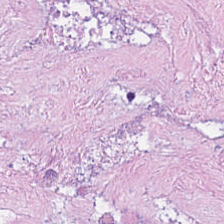Stain: H&E-stained tissue section.
Acquisition: whole-slide-image patch.
Tile size: 224×224 px tile.
Tissue: debris.
